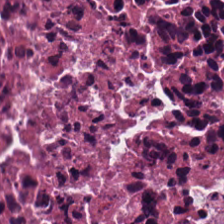Hematoxylin and eosin. Q: Classify this patch.
A: This is debris.
